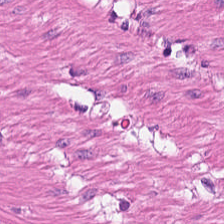Hematoxylin-and-eosin stained section.
The predominant tissue is smooth muscle.
